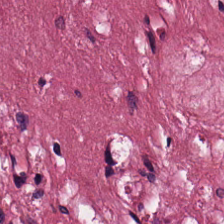Stain: H&E.
Tissue: tumor stroma.
